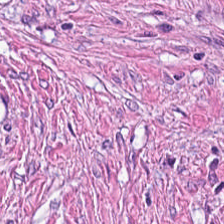0.5 microns per pixel · 224×224 px patch · hematoxylin and eosin — Histology — tumor-associated stroma.
